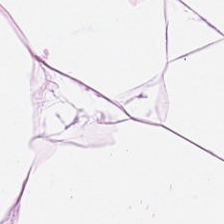20× equivalent magnification; formalin-fixed paraffin-embedded section; hematoxylin-and-eosin stained section — The tissue is adipocytes.
